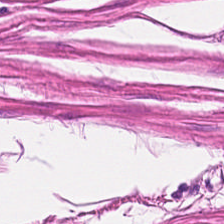Impression — smooth muscle.
